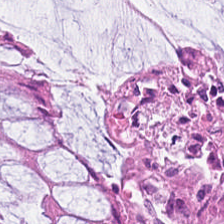Hematoxylin and eosin. Q: What does this patch show?
A: The field shows normal colon mucosa.
